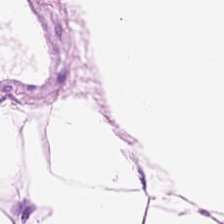The tissue is adipocytes.
